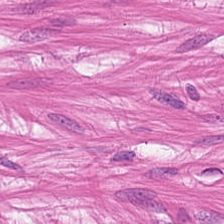0.5 µm per pixel · hematoxylin-and-eosin stained section · 224×224 px tile.
Showing smooth-muscle tissue.
